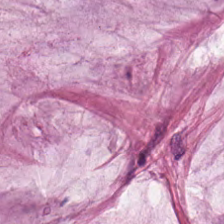Stain: hematoxylin-and-eosin stained section.
Tile size: 224×224 px patch.
Tissue: mucin.
